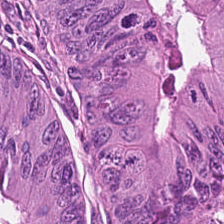{"tissue_type": "colorectal adenocarcinoma epithelium"}
